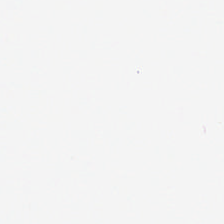Hematoxylin and eosin. Q: What does this patch show?
A: The field shows background (no tissue).
